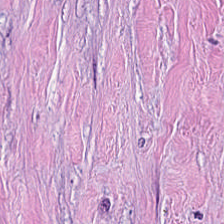224×224 pixel tile. H&E-stained tissue section — The predominant tissue is desmoplastic stroma.
